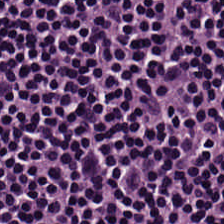Stain: H&E.
Tissue type: lymphoid infiltrate.
